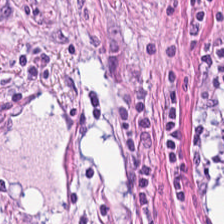Hematoxylin-and-eosin stained section. Q: What is shown in this field?
A: Tumor-associated stroma.
